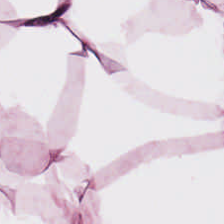H&E stain.
Predominantly fat tissue.
